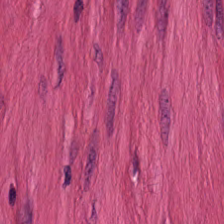H&E stain.
{"tissue_type": "smooth-muscle tissue"}
